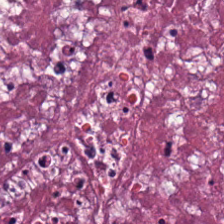Stain: H&E-stained tissue section.
Tissue: debris.
